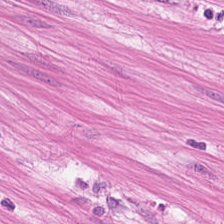Q: What is the predominant tissue type?
A: It is muscularis.
